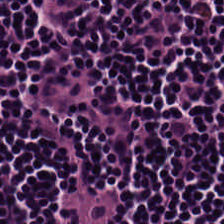0.5 microns per pixel; hematoxylin-and-eosin stained section — Q: Identify the tissue.
A: It is lymphocytic infiltrate.
